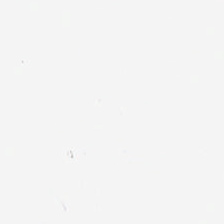224×224 px patch; H&E-stained tissue section; formalin-fixed paraffin-embedded section — Classification — empty background.
